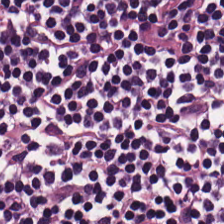Formalin-fixed paraffin-embedded section; H&E stain.
Tissue class = lymphoid infiltrate.
